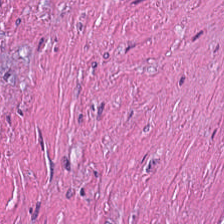224×224 px patch; H&E. Q: What is shown in this field?
A: Debris.
